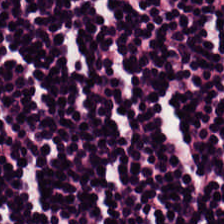Hematoxylin and eosin. Brightfield. Formalin-fixed paraffin-embedded section — Q: What type of tissue is this?
A: Lymphocyte aggregate.
